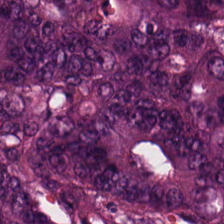Classification = adenocarcinoma.
